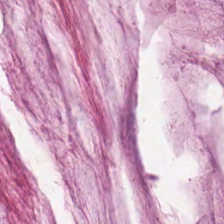Stain: hematoxylin-and-eosin stained section.
Classification: mucus.
